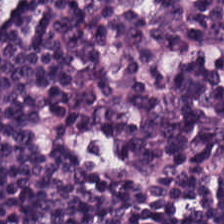0.5 µm/px. H&E — This field is lymphoid infiltrate.
